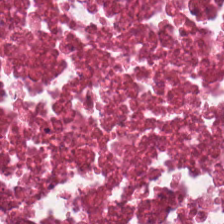H&E stain — Classification — cellular debris.
